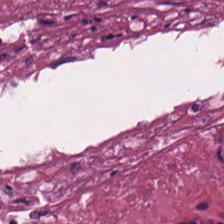This field is cellular debris.
